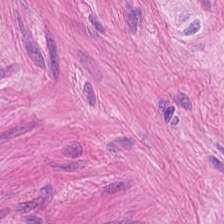The classification is smooth-muscle tissue.
